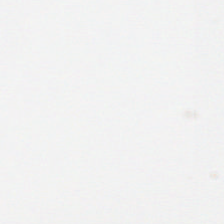Hematoxylin and eosin.
Empty field — no tissue.
